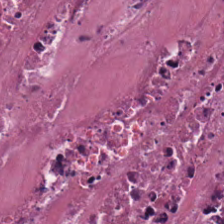H&E — Q: What tissue is shown?
A: The field shows debris.
